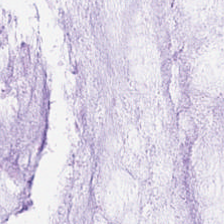H&E stain.
Showing extracellular mucin.
